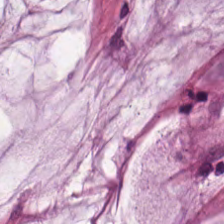H&E stain — Tissue class: extracellular mucin.
